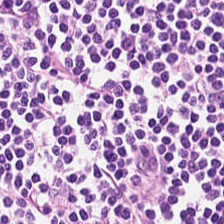Hematoxylin-and-eosin stained section.
Impression — lymphoid infiltrate.
